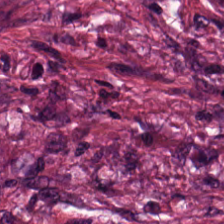The tissue here is desmoplastic stroma.
